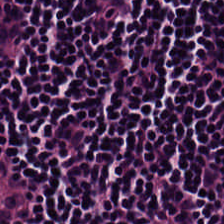H&E stain. 0.5 microns per pixel. 224×224 px patch. Finding → lymphocytic infiltrate.
